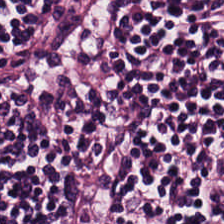Hematoxylin-and-eosin stained section · FFPE · 224×224 pixel tile.
Showing lymphocytic infiltrate.
